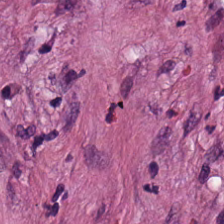20× equivalent magnification · hematoxylin-and-eosin stained section.
The tissue type is tumor-associated stroma.
